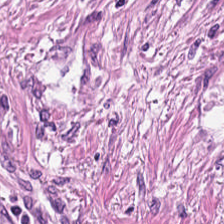Tissue: desmoplastic stroma.
